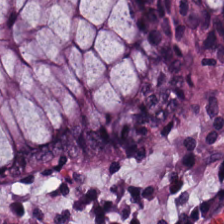Stain: H&E stain.
Classification: normal colon mucosa.
